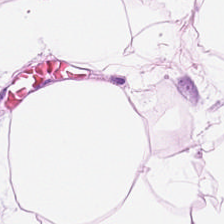H&E · 224×224 pixel tile — Tissue type — adipocytes.
